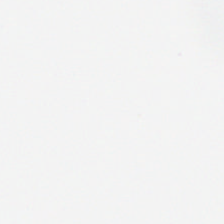Content — empty background.
